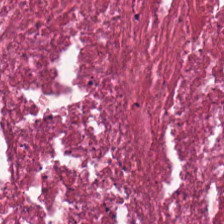20× equivalent magnification; H&E-stained tissue section — This patch shows debris.
